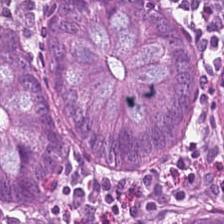This patch shows normal colonic mucosa.
